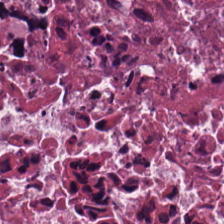FFPE tissue section · H&E-stained tissue section. The tissue here is debris.
